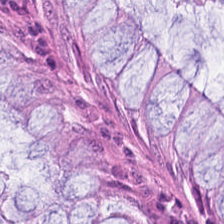Hematoxylin and eosin — Q: What is shown in this field?
A: Non-neoplastic colon mucosa.
